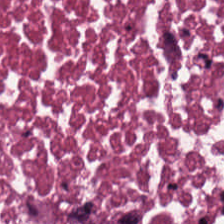Q: What does this patch show?
A: This is necrotic debris.
